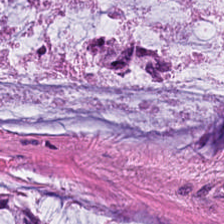H&E.
Histology — mucus.
